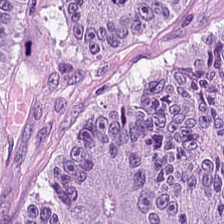Tissue type = malignant epithelium.
